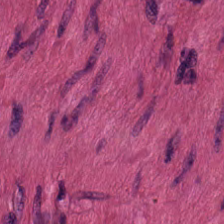Stain: hematoxylin and eosin.
Classification: smooth muscle.
